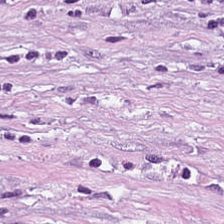Hematoxylin-and-eosin stained section.
Q: What type of tissue is this?
A: It is cancer-associated stroma.
